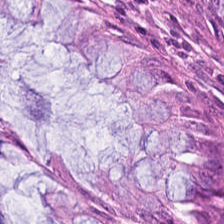H&E stain. 0.5 µm per pixel — Q: What tissue is shown?
A: Non-neoplastic colon mucosa.
